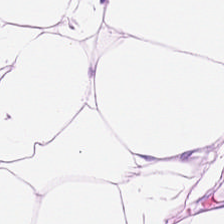H&E-stained tissue section. 0.5 µm/px.
This field is adipose.
